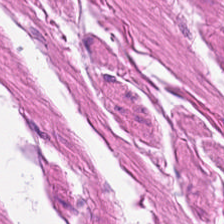H&E-stained tissue section.
The predominant tissue is smooth-muscle tissue.
